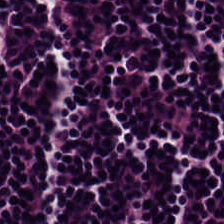Hematoxylin-and-eosin stained section.
Q: What tissue is shown?
A: Lymphocytic infiltrate.
